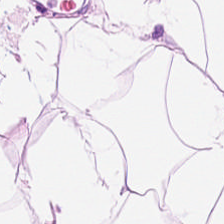H&E — Q: What tissue type is shown here?
A: This is adipose.
